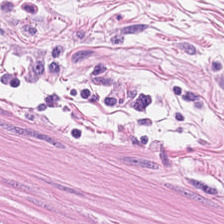Hematoxylin-and-eosin stained section — Q: Classify this patch.
A: This is smooth muscle.
